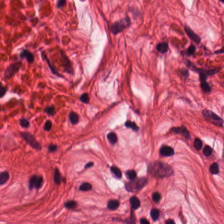Q: What tissue is shown?
A: The field shows smooth-muscle tissue.
